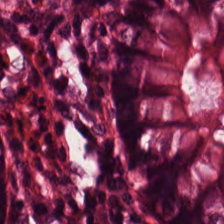Stain: H&E-stained tissue section.
Tissue type: benign colonic mucosa.
